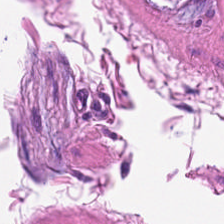H&E-stained tissue section. Formalin-fixed paraffin-embedded section.
This field is smooth muscle.
